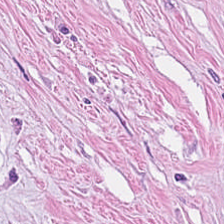H&E; 20× equivalent magnification.
The tissue here is cancer-associated stroma.
